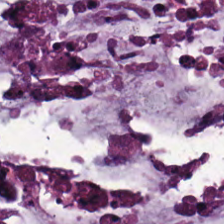H&E stain. This patch shows mucus.
